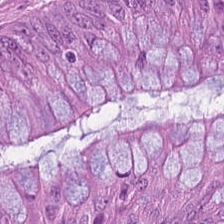Brightfield microscopy. Hematoxylin and eosin. 0.5 µm per pixel.
Showing colorectal adenocarcinoma.
